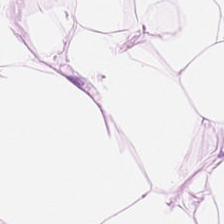This field is adipocytes.
